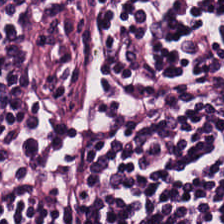H&E stain. Tissue class — lymphocytes.
